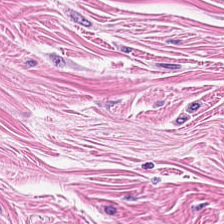Hematoxylin-and-eosin stained section — This patch shows smooth-muscle tissue.
